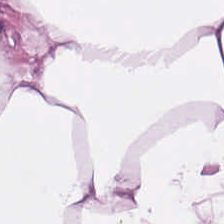Impression — fat tissue.
